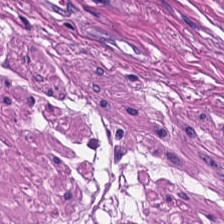Predominantly smooth-muscle tissue.
